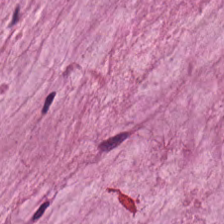H&E-stained tissue section; 224×224 pixel tile. Q: What is shown here?
A: It is extracellular mucin.
